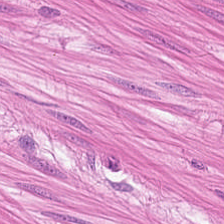Brightfield microscopy. Hematoxylin and eosin.
Tissue type: muscularis.
